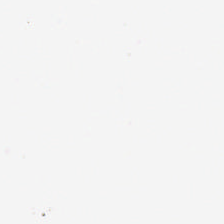Stain: H&E.
Acquisition: brightfield.
Content: background.
